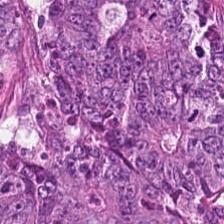H&E stain.
{"tissue_type": "tumor epithelium"}
